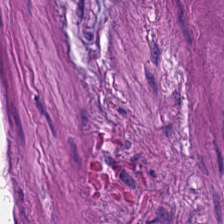Impression → muscularis.
